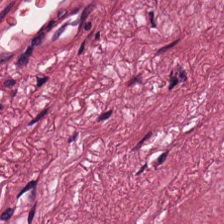The predominant tissue is tumor-associated stroma.
